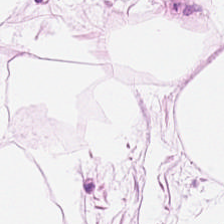Hematoxylin and eosin.
Finding — adipocytes.
